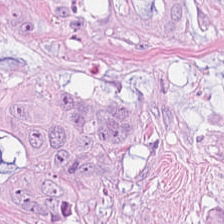Hematoxylin-and-eosin stained section. The tissue here is colorectal adenocarcinoma epithelium.
